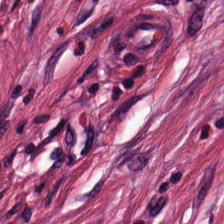Q: What is the predominant tissue type?
A: This is desmoplastic stroma.
